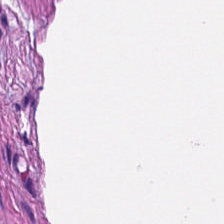Histology → smooth muscle.
